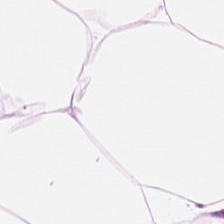Brightfield · 20× equivalent magnification · H&E. Classification = fat tissue.
